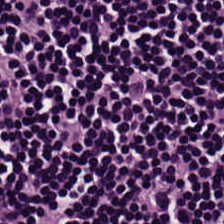H&E · formalin-fixed paraffin-embedded section. Lymphocytes.
